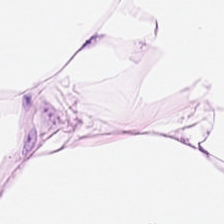224×224 pixel tile. H&E stain. Showing adipose tissue.
